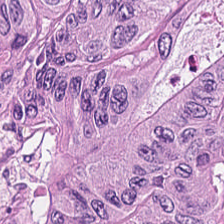Histology — colorectal adenocarcinoma.
